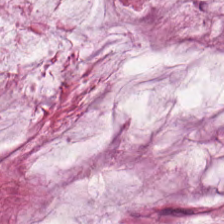Impression → extracellular mucin.
